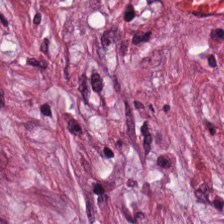224×224 px patch · WSI patch · H&E-stained tissue section.
Tissue type: desmoplastic stroma.
